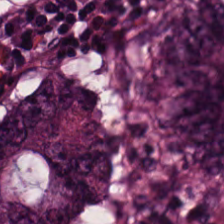The classification is colorectal adenocarcinoma epithelium.
